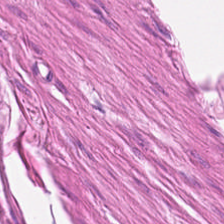Whole-slide-image patch; 224×224 pixel tile; H&E stain.
Showing smooth muscle.
